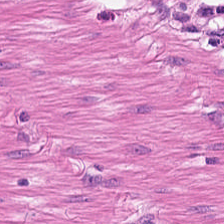Hematoxylin-and-eosin section: smooth-muscle tissue.
